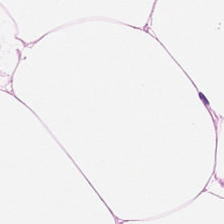H&E · brightfield microscopy — Q: Classify this patch.
A: This is adipocytes.
